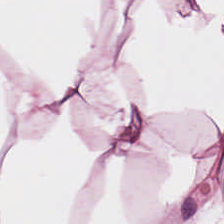H&E.
Adipose tissue.
